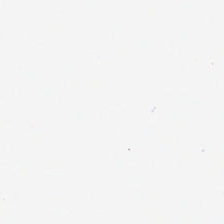H&E.
Impression — empty background.
